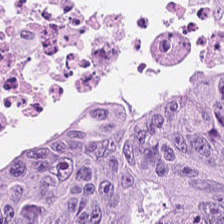H&E-stained tissue section.
The predominant tissue is adenocarcinoma.
